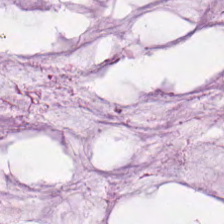H&E stain. Tissue type = mucin.
